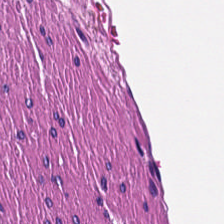Hematoxylin-and-eosin section: smooth muscle.
